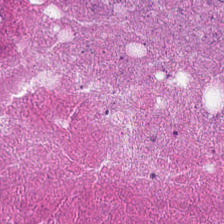Stain: hematoxylin and eosin.
Tissue: cellular debris.
